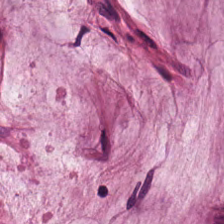H&E; formalin-fixed paraffin-embedded section. Tissue type: mucus.
